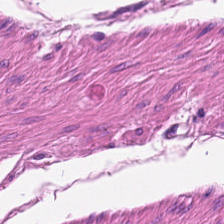Hematoxylin-and-eosin stained section · 0.5 microns per pixel — Muscularis.
